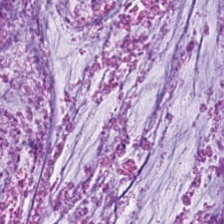Hematoxylin-and-eosin stained section.
This patch shows mucus.
